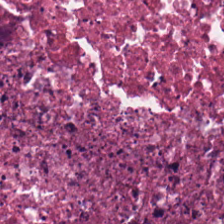H&E — Tissue — necrotic debris.
